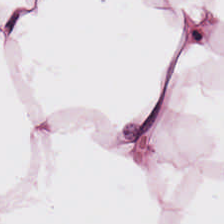Stain: H&E.
Classification: fat tissue.
